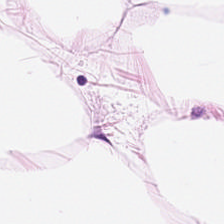0.5 microns per pixel; brightfield microscopy; hematoxylin and eosin.
This patch shows adipose.
